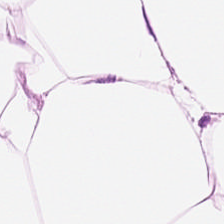H&E-stained tissue section — This field is adipose.
